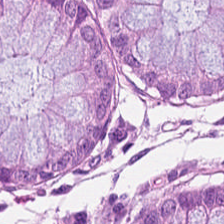H&E-stained tissue section.
Showing non-neoplastic colon mucosa.
